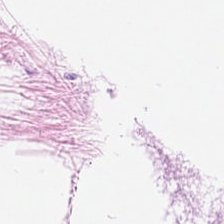FFPE · H&E-stained tissue section — Tissue type: fat tissue.
